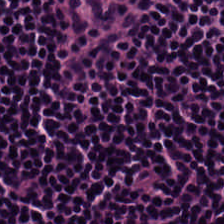H&E. The predominant tissue is lymphoid infiltrate.
